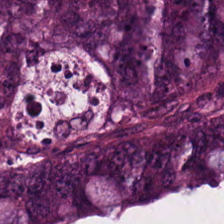H&E. This field is malignant epithelium.
